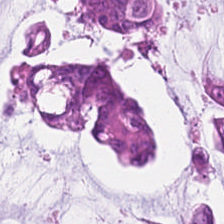H&E-stained tissue section · brightfield microscopy · formalin-fixed paraffin-embedded section.
This field is extracellular mucin.
